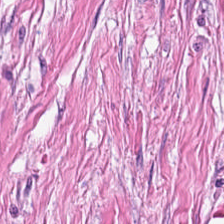20× equivalent magnification · hematoxylin-and-eosin stained section — Q: Classify this patch.
A: The field shows tumor stroma.
